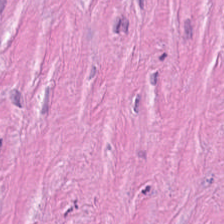H&E-stained tissue section · FFPE tissue section — Finding — tumor stroma.
